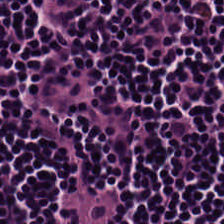H&E · whole-slide-image patch · FFPE.
{"tissue_type": "lymphocytes"}
